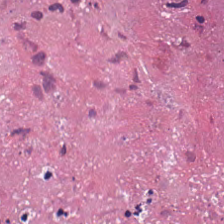Whole-slide-image patch. 224×224 px tile. H&E stain — Q: What tissue type is shown here?
A: Debris.
